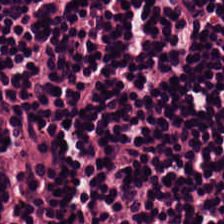Tissue type — lymphocytes.
